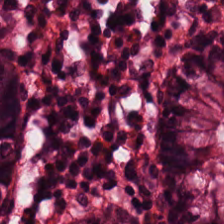H&E stain.
This field is normal colon mucosa.
